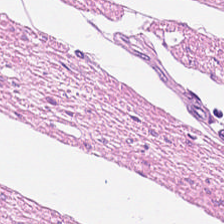Q: Identify the tissue.
A: Smooth muscle.
